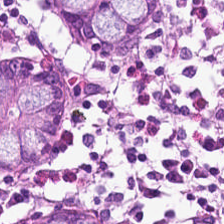H&E stain — Q: What is the predominant tissue type?
A: The field shows normal colonic mucosa.
